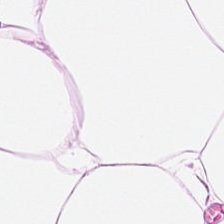Q: What is shown here?
A: Fat tissue.
